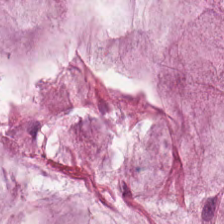Hematoxylin-and-eosin section: mucus.
